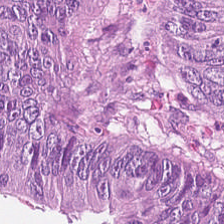Brightfield. H&E. 0.5 microns per pixel.
The tissue here is colorectal adenocarcinoma.
